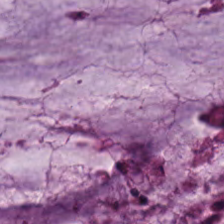H&E · 224×224 px tile. Tissue type: mucus.
